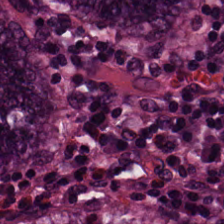H&E stain; 224×224 px patch; 0.5 µm/px.
Q: What tissue is shown?
A: The field shows normal colon mucosa.
